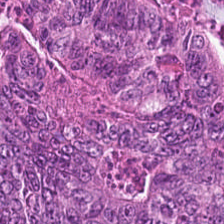Brightfield microscopy. 0.5 microns per pixel. H&E-stained tissue section — Predominant tissue — colorectal adenocarcinoma epithelium.
